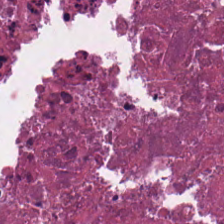H&E-stained tissue section. Q: What does this patch show?
A: Necrotic debris.
